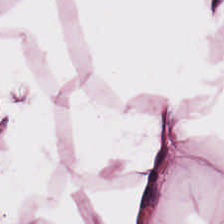Hematoxylin and eosin.
The tissue here is adipocytes.
